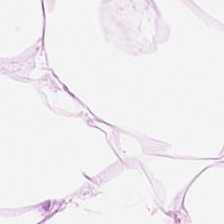{"tissue_type": "fat tissue"}
